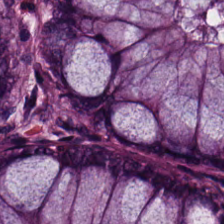Tissue class = non-neoplastic colon mucosa.
